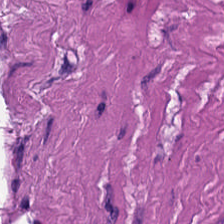H&E — This patch shows muscularis.
